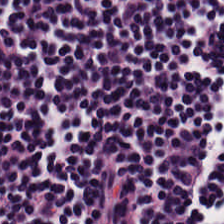224×224 px tile. H&E stain — The tissue here is lymphocytes.
